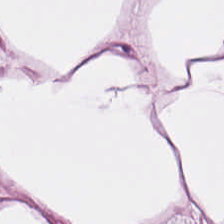Hematoxylin-and-eosin stained section. WSI patch — Predominantly adipose.
